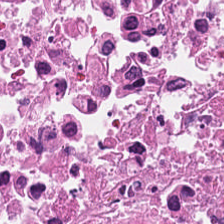20× equivalent magnification · H&E stain — Classification: cellular debris.
